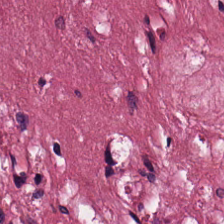Whole-slide-image patch; hematoxylin and eosin. This field is cancer-associated stroma.
